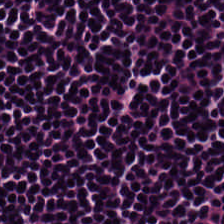Classification — lymphoid infiltrate.
